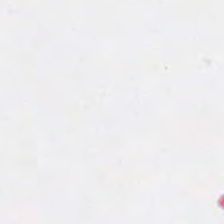H&E stain.
Histology — background.
